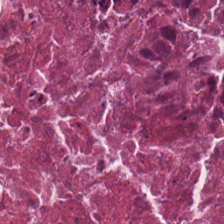Stain: H&E.
Tissue: necrotic debris.
